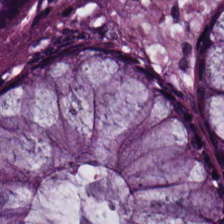Hematoxylin and eosin.
Q: What is shown here?
A: The field shows benign colonic mucosa.
